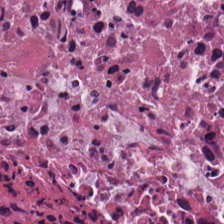Hematoxylin-and-eosin stained section.
Predominantly debris.
